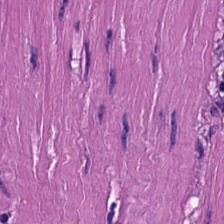Q: What does this patch show?
A: It is smooth muscle.
